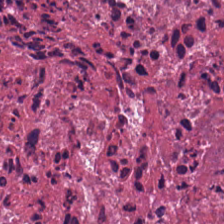H&E. Q: Identify the tissue.
A: The field shows cellular debris.
